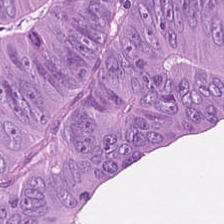224×224 pixel tile. 0.5 µm per pixel. Hematoxylin and eosin.
Q: What is shown in this field?
A: The field shows malignant epithelium.
